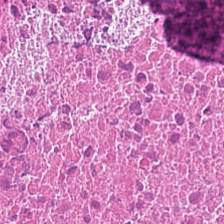Stain: H&E.
Tissue: cellular debris.
